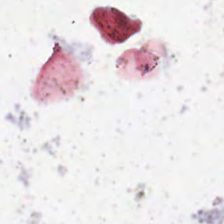H&E-stained tissue section. This field is background (no tissue).
